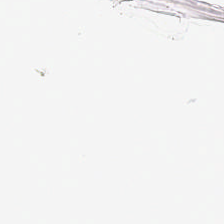H&E · 0.5 µm/px · FFPE.
No tissue present; background only.
